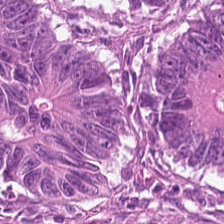H&E stain. 0.5 microns per pixel — Q: What does this patch show?
A: It is adenocarcinoma.
